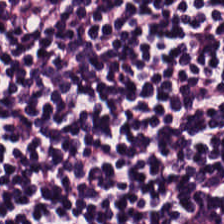20× equivalent magnification · H&E. Predominantly lymphocytes.
